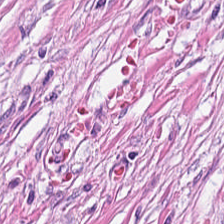H&E-stained tissue section — This patch shows desmoplastic stroma.
